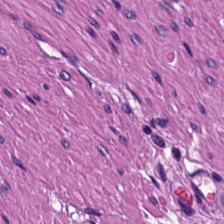FFPE tissue section · H&E-stained tissue section.
The predominant tissue is muscularis.
